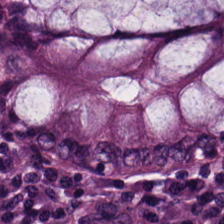Hematoxylin-and-eosin stained section; FFPE. Tissue class = benign colonic mucosa.
